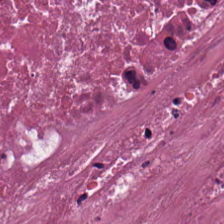Stain: hematoxylin and eosin.
Acquisition: whole-slide-image patch.
Preparation: formalin-fixed paraffin-embedded section.
Tissue class: necrotic debris.
